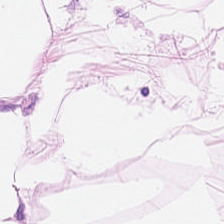Hematoxylin-and-eosin section: fat tissue.
